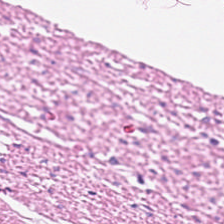0.5 µm/px. H&E stain — The tissue is muscularis.
